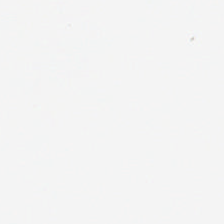Stain: hematoxylin and eosin.
Preparation: FFPE tissue section.
Field content: empty background.
